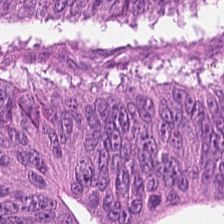Hematoxylin and eosin — Tissue — malignant epithelium.
